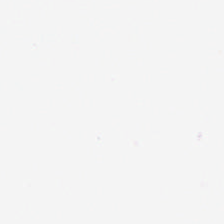Empty field — no tissue.
